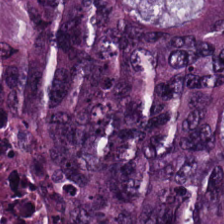The tissue here is adenocarcinoma.
